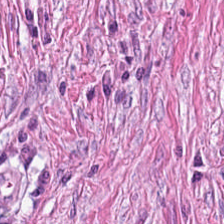Hematoxylin-and-eosin stained section.
Histology — tumor stroma.
